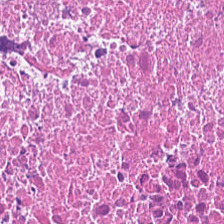{"tissue_type": "debris"}
